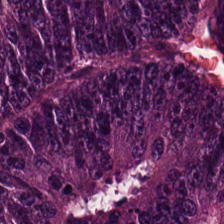H&E-stained tissue section.
Predominantly colorectal adenocarcinoma epithelium.
